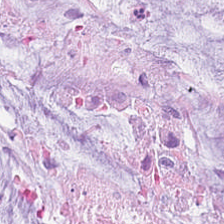Hematoxylin-and-eosin stained section — Q: What is the predominant tissue type?
A: It is mucus.
